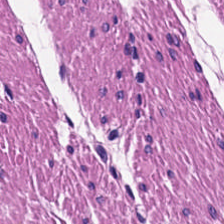Finding — smooth-muscle tissue.
